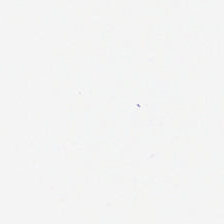H&E. Classification — background (no tissue).
